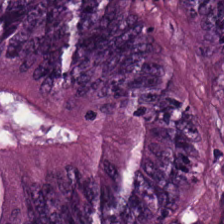H&E stain · brightfield. Tissue: adenocarcinoma.
